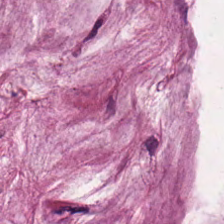Q: Classify this patch.
A: This is mucus.
